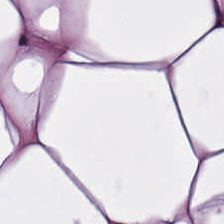Hematoxylin and eosin.
The predominant tissue is adipose tissue.
